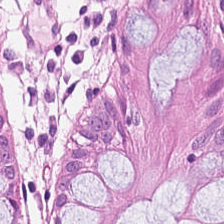H&E · 224×224 pixel tile.
This patch shows normal colon mucosa.
